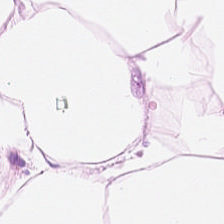H&E-stained tissue section. WSI patch — The predominant tissue is fat tissue.
